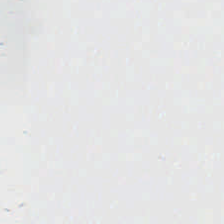Hematoxylin and eosin.
Q: What is shown here?
A: The field shows empty background.
